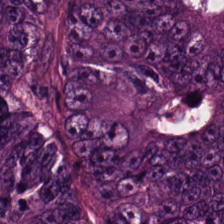{"tissue_type": "colorectal adenocarcinoma epithelium"}
